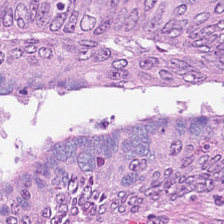Tissue class — adenocarcinoma.
